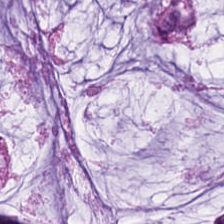H&E-stained tissue section.
The predominant tissue is extracellular mucin.
